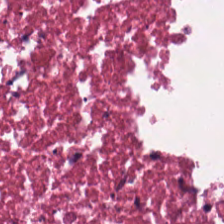Hematoxylin-and-eosin stained section.
The tissue type is necrotic debris.
